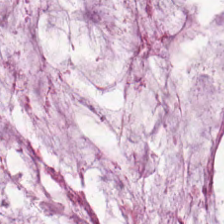H&E-stained tissue section · WSI patch. The predominant tissue is mucus.
